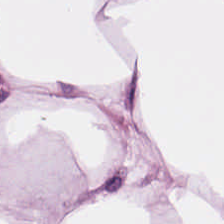Hematoxylin-and-eosin stained section — Predominantly adipose.
